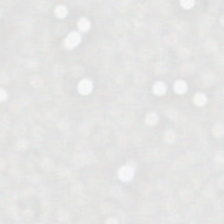20× equivalent magnification. Hematoxylin-and-eosin stained section. Whole-slide-image patch.
Field content = background (no tissue).
